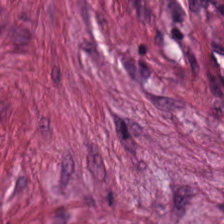Tissue class — desmoplastic stroma.
